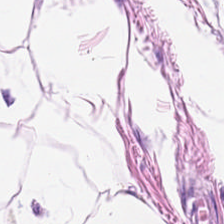Stain: H&E stain.
Predominant tissue: adipocytes.
